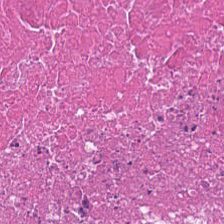{"tissue_type": "debris"}
